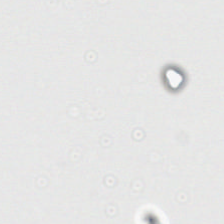224×224 px patch. FFPE. H&E stain.
This patch shows empty background.
